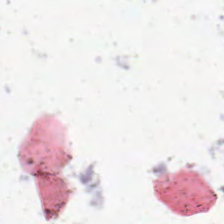Stain: H&E stain.
Field content: background (no tissue).
